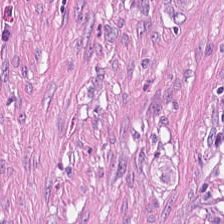H&E. 224×224 px patch — Predominantly tumor-associated stroma.
